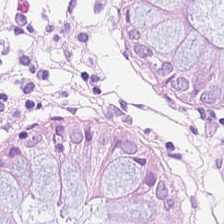H&E-stained tissue section.
Classification — non-neoplastic colon mucosa.
